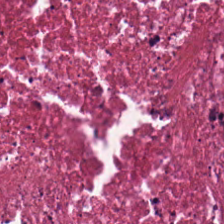H&E. This field is cellular debris.
